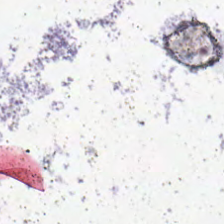Stain: H&E-stained tissue section.
Preparation: FFPE.
Field content: background (no tissue).
